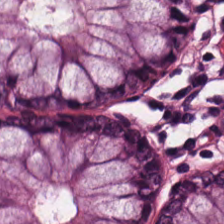H&E. The predominant tissue is non-neoplastic colon mucosa.
